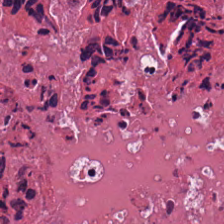H&E-stained tissue section. The predominant tissue is necrotic debris.
